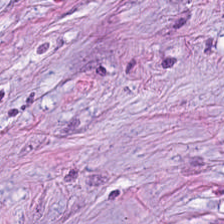H&E — The tissue here is tumor stroma.
